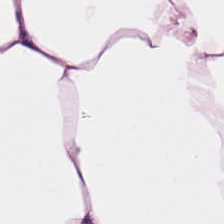0.5 microns per pixel; H&E-stained tissue section.
{"tissue_type": "adipose tissue"}
